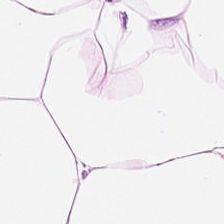H&E stain.
This patch shows fat tissue.
